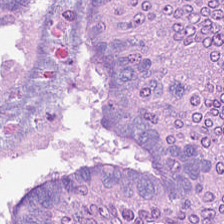Predominant tissue — tumor epithelium.
